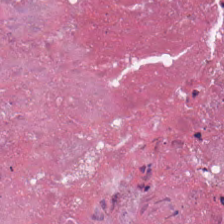H&E stain.
Predominantly cellular debris.
